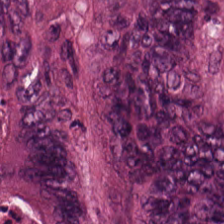H&E-stained tissue section.
Finding → adenocarcinoma.
